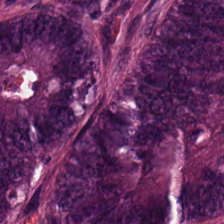The predominant tissue is malignant epithelium.
